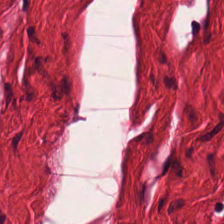H&E stain · formalin-fixed paraffin-embedded section. Q: What is the predominant tissue type?
A: This is smooth-muscle tissue.
